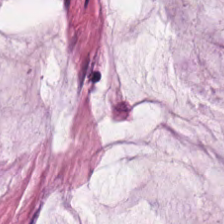H&E-stained tissue section. FFPE tissue section. This patch shows mucin.
